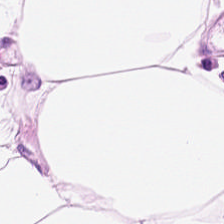Hematoxylin-and-eosin stained section.
Q: What is shown in this field?
A: Fat tissue.
